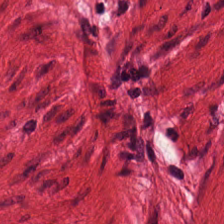H&E; 0.5 µm per pixel. Muscularis.
